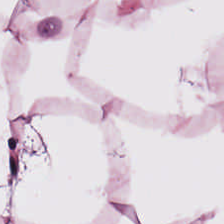H&E stain.
Finding → adipocytes.
